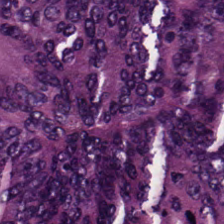Colorectal adenocarcinoma.
